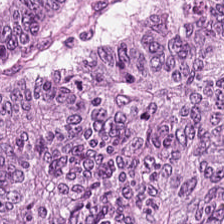H&E stain. 224×224 px tile.
Predominant tissue = tumor epithelium.
